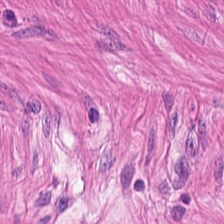Stain: hematoxylin-and-eosin stained section.
Classification: smooth muscle.
